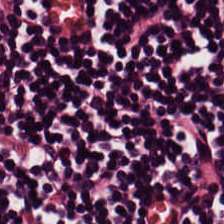Hematoxylin and eosin · 0.5 microns per pixel — Showing lymphocytes.
